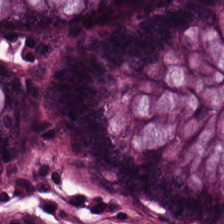The classification is benign colonic mucosa.
